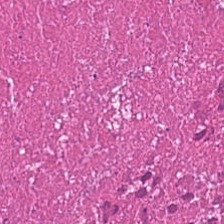H&E-stained tissue section. Q: Classify this patch.
A: Necrotic debris.
